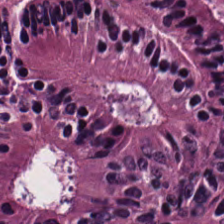Tissue class — colorectal adenocarcinoma epithelium.
